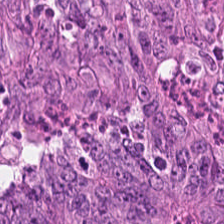H&E stain — Tissue class: colorectal adenocarcinoma epithelium.
